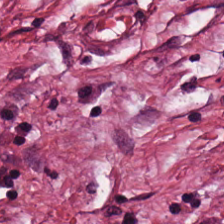0.5 µm/px; H&E. Q: Identify the tissue.
A: It is tumor stroma.
